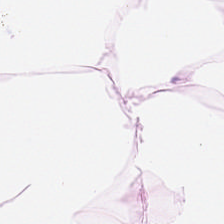Stain: hematoxylin and eosin.
Tissue: adipocytes.
